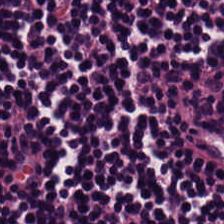Stain: hematoxylin-and-eosin stained section.
Predominant tissue: lymphocytic infiltrate.
